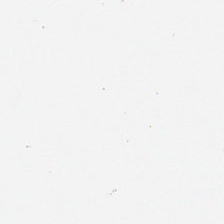Hematoxylin and eosin · 0.5 µm/px — Empty field — no tissue.
